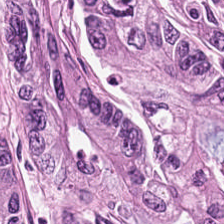Hematoxylin and eosin.
Q: What is shown in this field?
A: It is tumor epithelium.
